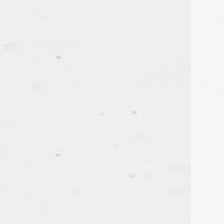Impression — no tissue.
